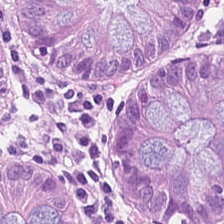Stain: H&E stain.
Predominant tissue: normal colon mucosa.
